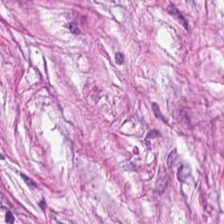224×224 px patch. Hematoxylin-and-eosin stained section — Tumor stroma.
